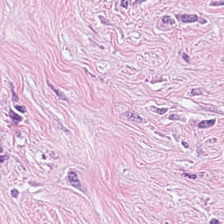Hematoxylin-and-eosin section: tumor-associated stroma.
